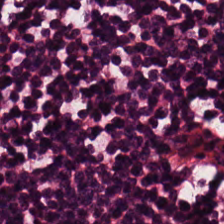H&E-stained tissue section — Predominantly lymphocyte aggregate.
